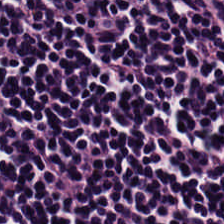Hematoxylin and eosin. Classification = lymphocyte aggregate.
